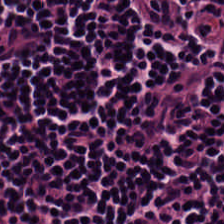Finding — lymphocytic infiltrate.
